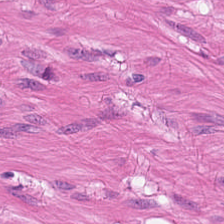H&E stain. FFPE. 224×224 px tile. Impression → smooth-muscle tissue.
